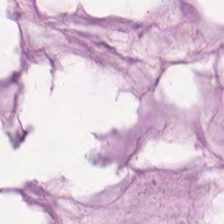Hematoxylin-and-eosin stained section — This patch shows mucus.
